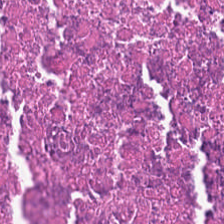0.5 µm/px; hematoxylin-and-eosin stained section.
Q: What does this patch show?
A: It is cellular debris.
